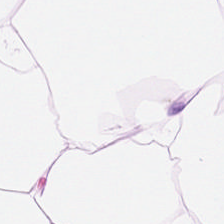Hematoxylin-and-eosin stained section; 224×224 pixel tile; brightfield — The tissue type is adipose tissue.
